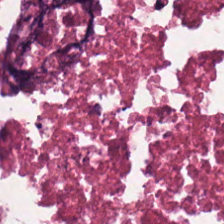Hematoxylin and eosin; whole-slide-image patch — Predominantly cellular debris.
